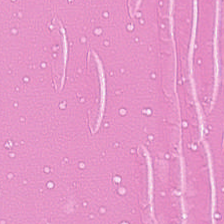0.5 µm per pixel · brightfield · H&E stain. The tissue here is cellular debris.
